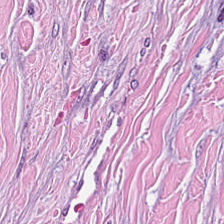FFPE · H&E stain. Q: What type of tissue is this?
A: Tumor-associated stroma.
